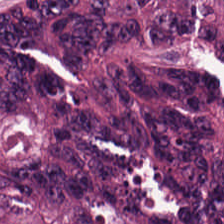H&E stain. Predominantly tumor epithelium.
